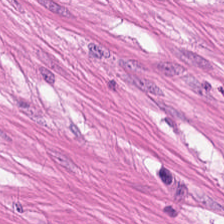FFPE tissue section · H&E stain.
Q: Identify the tissue.
A: The field shows smooth-muscle tissue.
